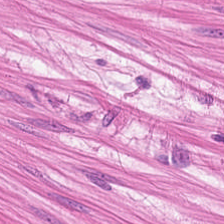0.5 microns per pixel. Hematoxylin-and-eosin stained section.
Predominant tissue: smooth muscle.
